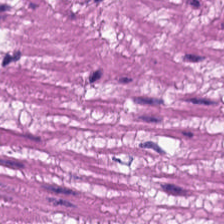Stain: H&E-stained tissue section.
Tissue class: smooth muscle.
